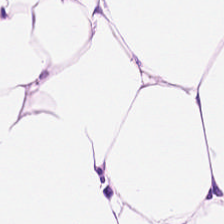H&E · 224×224 px tile — Fat tissue.
